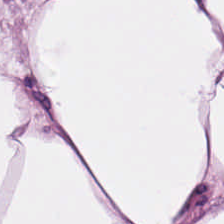H&E stain.
This field is adipose.
